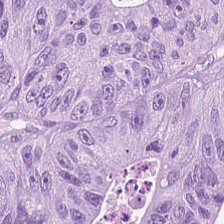H&E. 224×224 px patch.
Showing colorectal adenocarcinoma.
